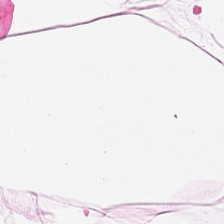Stain: hematoxylin and eosin.
Preparation: FFPE tissue section.
Resolution: 0.5 microns per pixel.
Classification: adipocytes.
